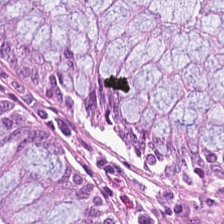Hematoxylin-and-eosin stained section · brightfield — Tissue class = normal colon mucosa.
